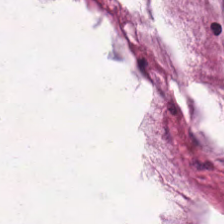Q: What is shown here?
A: Mucus.
